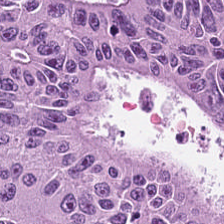Brightfield microscopy; H&E.
Tissue class: malignant epithelium.
